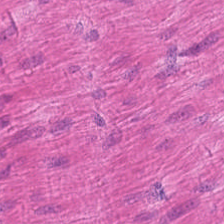H&E-stained tissue section.
This patch shows smooth-muscle tissue.
